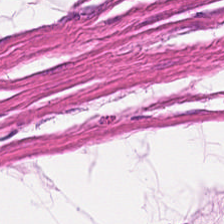224×224 px patch; H&E-stained tissue section; FFPE tissue section. Showing muscularis.
